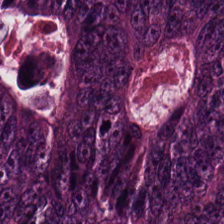0.5 µm/px. FFPE. H&E stain. Impression → colorectal adenocarcinoma.
